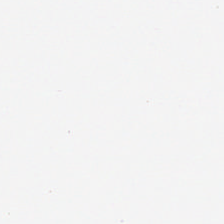Empty field — background (no tissue).
